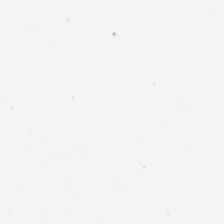224×224 px patch; hematoxylin and eosin; FFPE tissue section.
Background — no tissue in this field.
